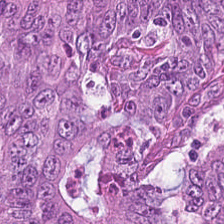Stain: H&E stain.
Tile size: 224×224 px patch.
Acquisition: whole-slide-image patch.
Tissue class: adenocarcinoma.
